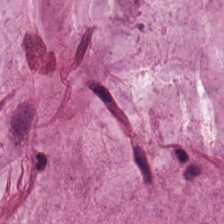H&E stain — Q: What is the predominant tissue type?
A: It is mucus.
